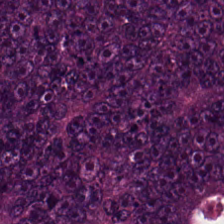224×224 px patch. H&E. Finding — colorectal adenocarcinoma epithelium.
